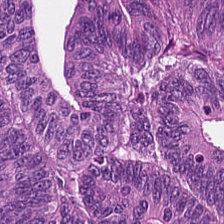Predominant tissue = malignant epithelium.
